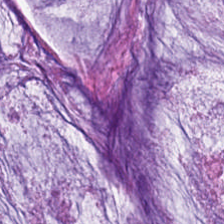Stain: H&E-stained tissue section.
Tissue: mucus.
